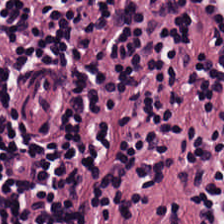Hematoxylin and eosin; whole-slide-image patch. This field is lymphocytes.
